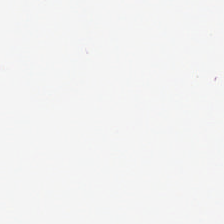Hematoxylin and eosin — This patch shows no tissue.
